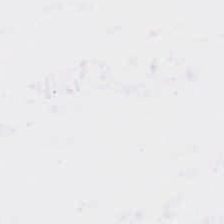H&E. Q: What does this patch show?
A: It is background (no tissue).
